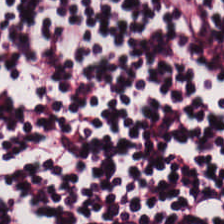Hematoxylin and eosin. Q: Classify this patch.
A: Lymphocyte aggregate.
